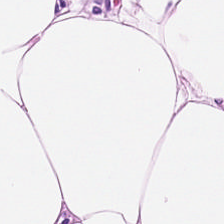Hematoxylin-and-eosin stained section.
Predominantly adipocytes.
